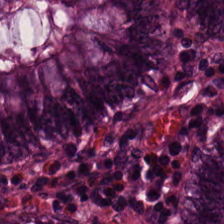H&E stain.
Classification — normal colon mucosa.
